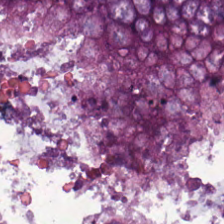Impression → adenocarcinoma.
